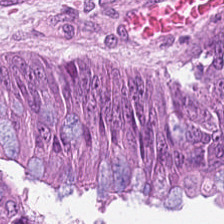H&E; 224×224 pixel tile. This patch shows adenocarcinoma.
